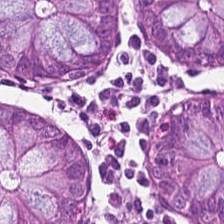H&E patch showing normal colon mucosa.
